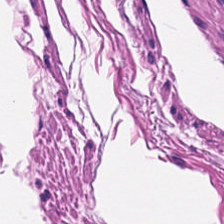Hematoxylin and eosin — Showing smooth-muscle tissue.
